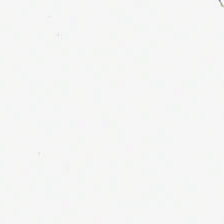Field content: background.
